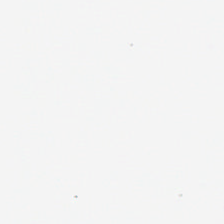Hematoxylin and eosin. Classification: no tissue.
